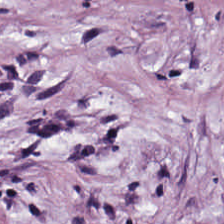Stain: H&E-stained tissue section.
Preparation: FFPE tissue section.
Tile size: 224×224 px patch.
Tissue: tumor stroma.
